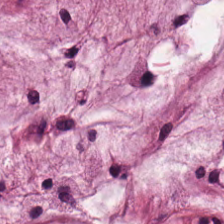H&E stain.
Classification: extracellular mucin.
